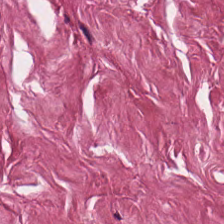20× equivalent magnification; hematoxylin and eosin.
Q: What is shown here?
A: This is tumor stroma.
